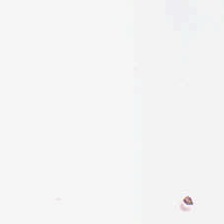H&E stain · 20× equivalent magnification. Q: What is shown here?
A: The field shows no tissue.
